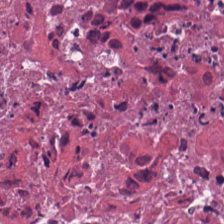Q: What tissue type is shown here?
A: Necrotic debris.
